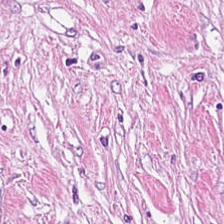Tissue — tumor stroma.
